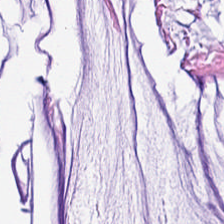Tissue — mucin.
